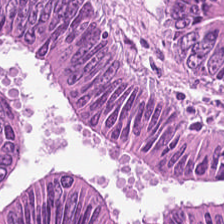H&E · FFPE tissue section — {"tissue_type": "adenocarcinoma"}
